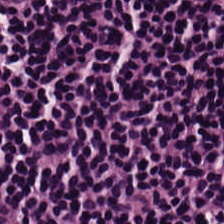H&E-stained tissue section. 0.5 µm/px.
Predominantly lymphocytes.
